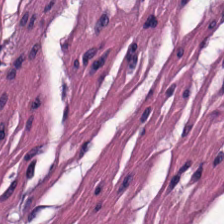H&E-stained tissue section.
Impression → smooth muscle.
